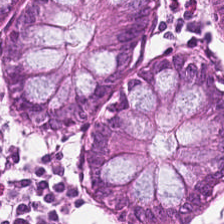Hematoxylin-and-eosin stained section. 0.5 µm/px. Predominantly benign colonic mucosa.
